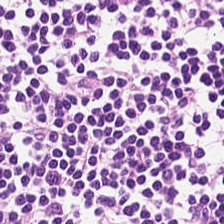Q: What is shown here?
A: This is lymphocyte aggregate.
